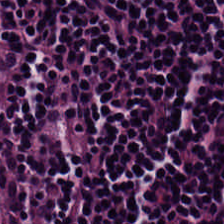H&E; FFPE tissue section — Histology — lymphocytic infiltrate.
